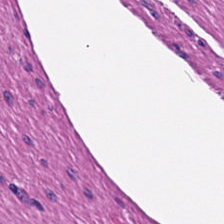Stain: H&E stain.
Preparation: formalin-fixed paraffin-embedded section.
Tissue type: muscularis.
